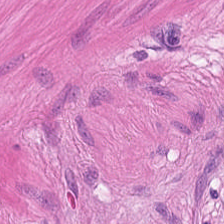Histology — smooth muscle.
